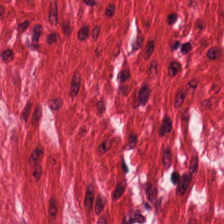Stain: hematoxylin and eosin.
Preparation: FFPE tissue section.
Classification: smooth muscle.
